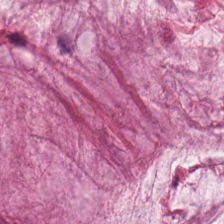H&E — extracellular mucin.
